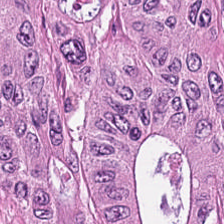H&E-stained tissue section — Q: What type of tissue is this?
A: The field shows colorectal adenocarcinoma.
